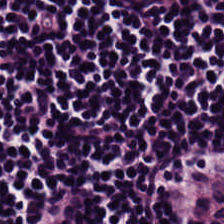H&E.
Predominantly lymphocytic infiltrate.
